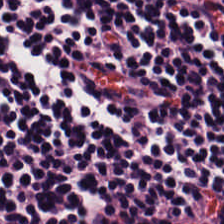Whole-slide-image patch. Hematoxylin-and-eosin stained section — This field is lymphocyte aggregate.
